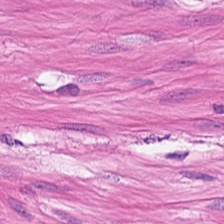H&E. 0.5 µm per pixel. Brightfield microscopy.
Classification — smooth-muscle tissue.
